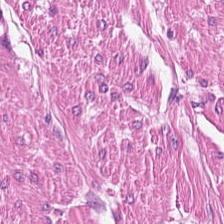WSI patch · hematoxylin and eosin. Q: What tissue is shown?
A: The field shows muscularis.
